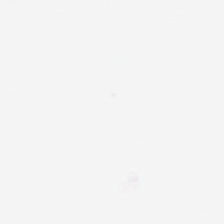Hematoxylin and eosin. Q: What is shown here?
A: This is background (no tissue).
